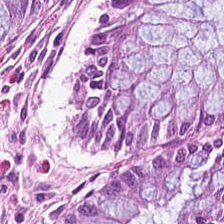Predominant tissue = normal colonic mucosa.
